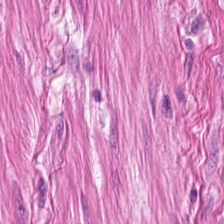Impression → smooth muscle.
